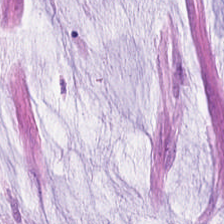The classification is extracellular mucin.
